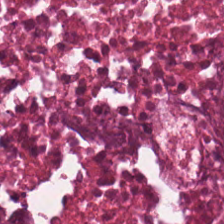H&E-stained tissue section showing necrotic debris.
